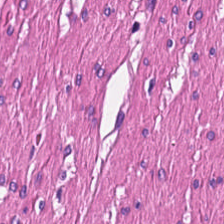FFPE tissue section · H&E. Smooth-muscle tissue.
